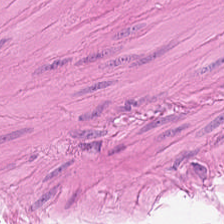224×224 px patch · H&E-stained tissue section — Classification — muscularis.
